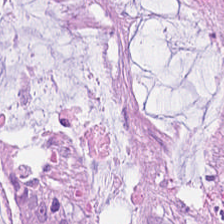H&E stain · 20× equivalent magnification · FFPE tissue section. Q: Identify the tissue.
A: Mucus.
